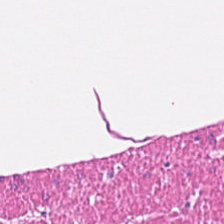H&E. Brightfield. Q: What is shown in this field?
A: Smooth muscle.
